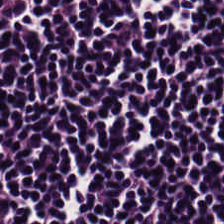H&E — lymphocyte aggregate.
